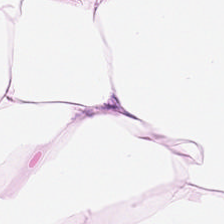H&E stain — Tissue class — fat tissue.
